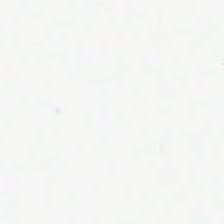Stain: H&E stain.
Field content: no tissue.
